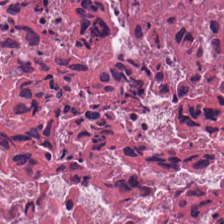Impression — debris.
